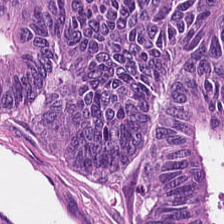H&E-stained tissue section.
Impression — tumor epithelium.
